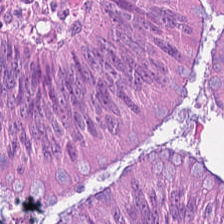H&E-stained tissue section.
Impression → colorectal adenocarcinoma.
